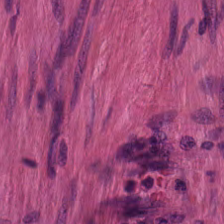H&E-stained tissue section; brightfield microscopy. Showing smooth-muscle tissue.
